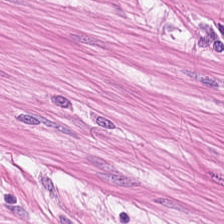20× equivalent magnification · H&E stain. Muscularis.
